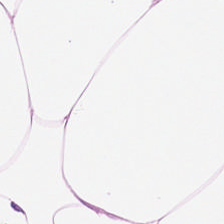Formalin-fixed paraffin-embedded section; brightfield microscopy; H&E-stained tissue section.
Q: What is shown here?
A: Fat tissue.
